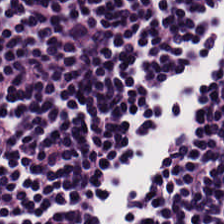Formalin-fixed paraffin-embedded section; H&E; brightfield microscopy. Showing lymphoid infiltrate.
